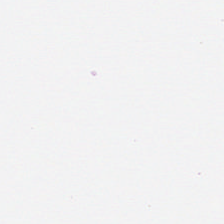WSI patch. Hematoxylin-and-eosin stained section.
Field content — no tissue.
